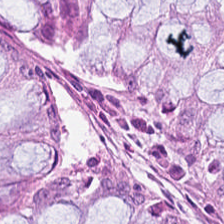0.5 microns per pixel. H&E. FFPE tissue section — This field is normal colonic mucosa.
